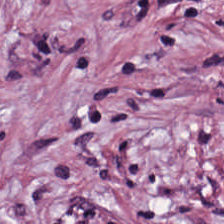224×224 px tile. Hematoxylin-and-eosin stained section — Q: Identify the tissue.
A: The field shows cancer-associated stroma.
